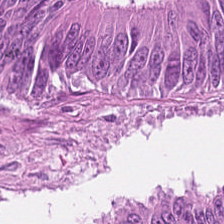Stain: H&E stain.
Resolution: 20× equivalent magnification.
Predominant tissue: colorectal adenocarcinoma epithelium.
